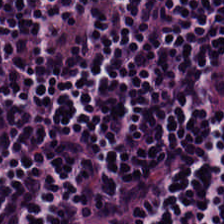H&E stain; 0.5 µm per pixel; 224×224 px tile. Predominantly lymphocytes.
